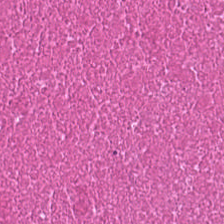Hematoxylin-and-eosin stained section.
Q: Identify the tissue.
A: The field shows cellular debris.
